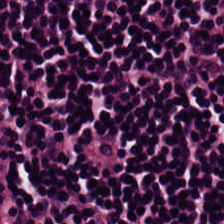WSI patch · H&E.
The tissue is lymphocyte aggregate.
